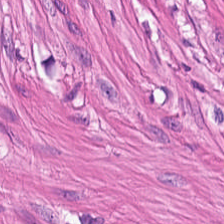H&E stain. Brightfield microscopy.
Q: What tissue is shown?
A: Smooth-muscle tissue.
